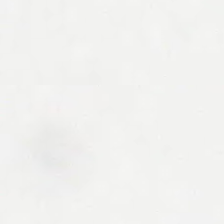H&E. Brightfield microscopy. 20× equivalent magnification — No tissue present; background only.
